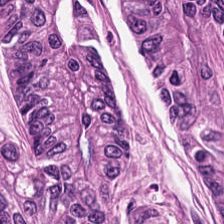Tissue class — colorectal adenocarcinoma.
